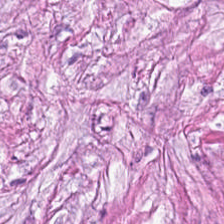Stain: hematoxylin-and-eosin stained section.
Tile size: 224×224 px tile.
Tissue type: tumor-associated stroma.
